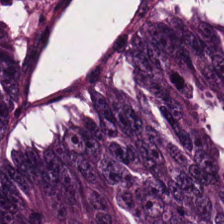Hematoxylin-and-eosin stained section · 224×224 px patch · formalin-fixed paraffin-embedded section.
Tissue class: adenocarcinoma.
